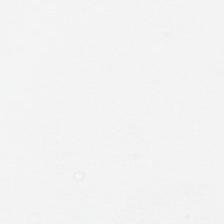Stain: H&E stain.
Preparation: formalin-fixed paraffin-embedded section.
Acquisition: brightfield.
Classification: empty background.
